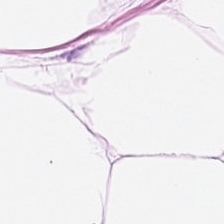Hematoxylin-and-eosin stained section. Tissue: fat tissue.
